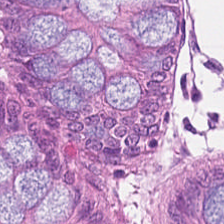Brightfield microscopy. Hematoxylin and eosin — Classification: benign colonic mucosa.
